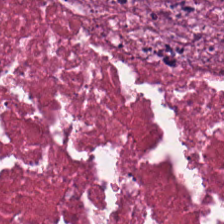H&E stain.
Q: Identify the tissue.
A: It is cellular debris.
